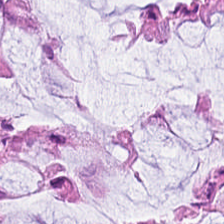H&E.
The tissue here is non-neoplastic colon mucosa.
